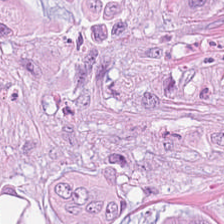Q: What tissue type is shown here?
A: This is colorectal adenocarcinoma.
